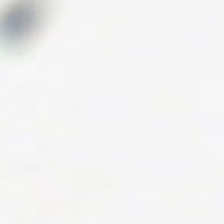H&E stain — Classification = empty background.
